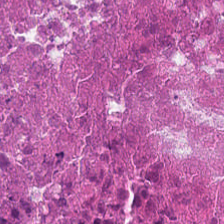H&E stain. 224×224 px patch.
Q: Classify this patch.
A: Debris.
